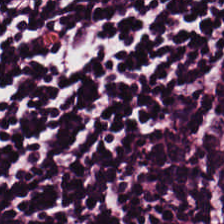H&E-stained tissue section.
Showing lymphocyte aggregate.
